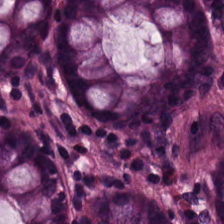Brightfield · H&E-stained tissue section — Q: What does this patch show?
A: Benign colonic mucosa.
